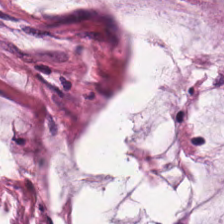Mucus.
